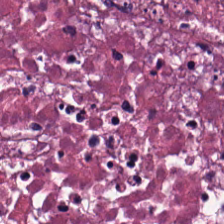224×224 px patch · hematoxylin-and-eosin stained section.
{"tissue_type": "cellular debris"}
